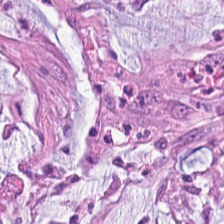{"tissue_type": "mucus"}
